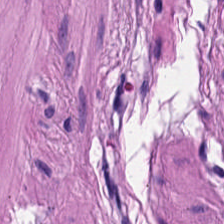0.5 µm/px · H&E-stained tissue section.
Q: What is shown in this field?
A: The field shows smooth-muscle tissue.
